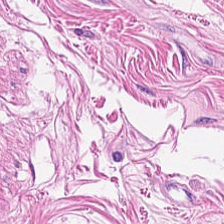H&E — smooth muscle.
